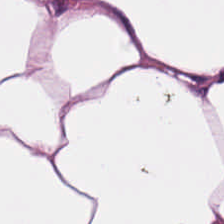Hematoxylin and eosin. {"tissue_type": "fat tissue"}
